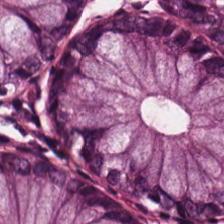Q: What is shown in this field?
A: Benign colonic mucosa.
